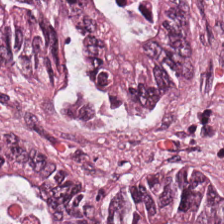H&E. The predominant tissue is tumor epithelium.
